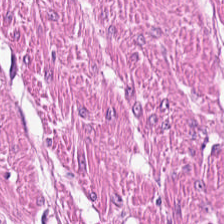Hematoxylin and eosin. Smooth muscle.
